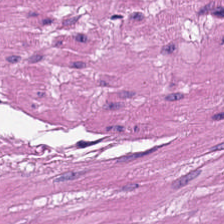Hematoxylin-and-eosin stained section — Tissue type: smooth muscle.
